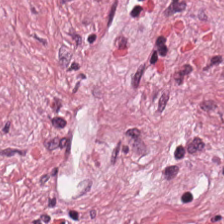Hematoxylin-and-eosin stained section — Q: What does this patch show?
A: It is desmoplastic stroma.
